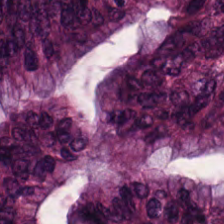H&E stain.
Classification: malignant epithelium.
